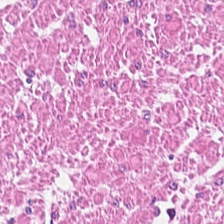H&E stain — Q: What type of tissue is this?
A: This is muscularis.
